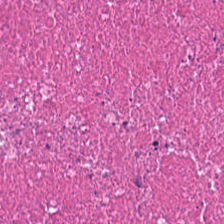H&E. Finding — cellular debris.
